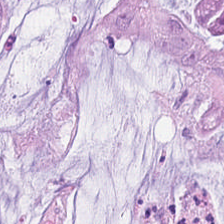0.5 µm per pixel. Hematoxylin and eosin. {"tissue_type": "extracellular mucin"}
